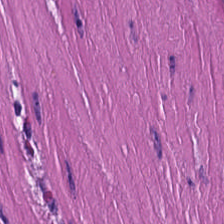H&E.
The classification is muscularis.
